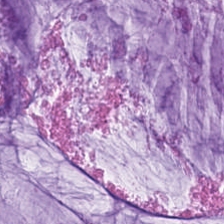H&E-stained tissue section. Q: Identify the tissue.
A: This is extracellular mucin.
